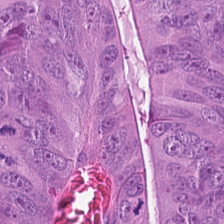Hematoxylin-and-eosin stained section. Predominantly tumor epithelium.
